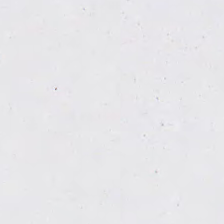FFPE · H&E-stained tissue section. This field is background (no tissue).
